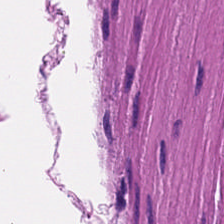WSI patch. H&E-stained tissue section — This field is smooth-muscle tissue.
